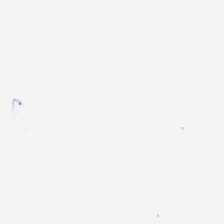H&E-stained tissue section. 0.5 µm per pixel. 224×224 px patch. {"content": "background"}
